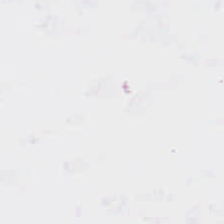0.5 µm per pixel · 224×224 px patch · hematoxylin and eosin — Finding → background.
